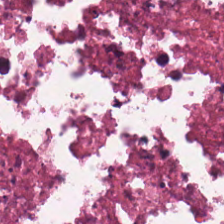H&E — The tissue here is necrotic debris.
